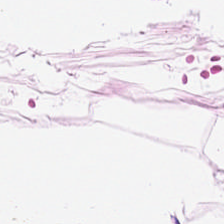H&E. Brightfield.
Q: What type of tissue is this?
A: It is fat tissue.
